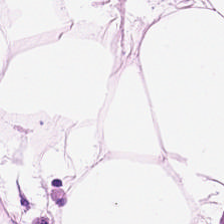Formalin-fixed paraffin-embedded section. H&E stain — Adipose tissue.
